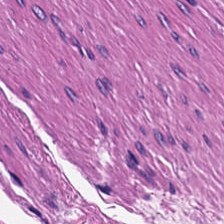224×224 pixel tile · hematoxylin-and-eosin stained section.
Q: Classify this patch.
A: It is smooth muscle.
